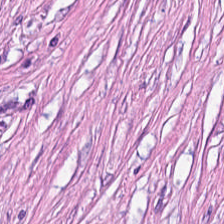{"tissue_type": "cancer-associated stroma"}
